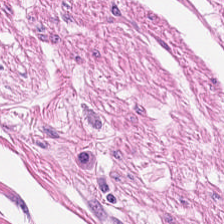0.5 µm/px; brightfield; H&E.
Smooth muscle.
